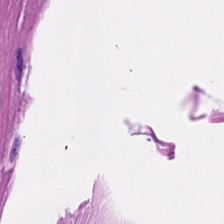H&E-stained tissue section. Predominantly smooth muscle.
